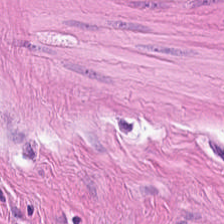0.5 microns per pixel · formalin-fixed paraffin-embedded section · H&E-stained tissue section.
Predominantly muscularis.
